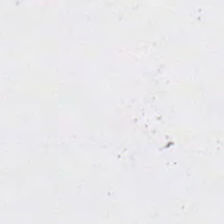H&E. Background (no tissue).
